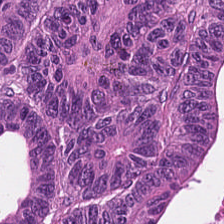This field is adenocarcinoma.
